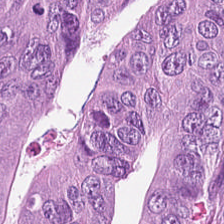H&E stain. Q: What does this patch show?
A: This is adenocarcinoma.
